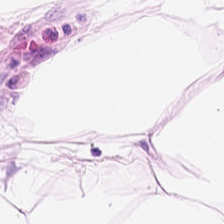Stain: H&E.
Tile size: 224×224 px tile.
Classification: fat tissue.
